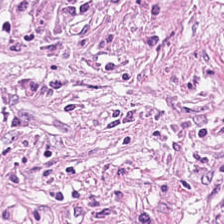0.5 microns per pixel; FFPE; H&E-stained tissue section.
This patch shows desmoplastic stroma.
